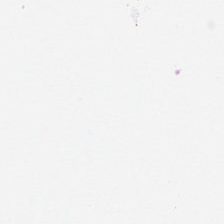20× equivalent magnification · H&E. Histology — background (no tissue).
